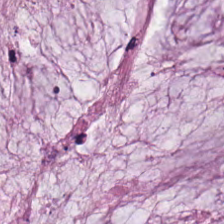H&E — The predominant tissue is mucin.
